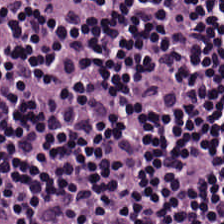H&E-stained tissue section — Tissue type — lymphocytes.
